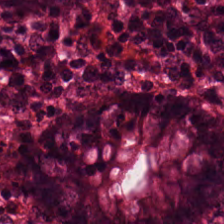Tissue type = non-neoplastic colon mucosa.
